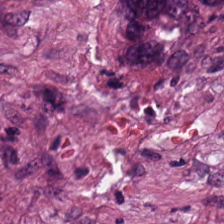Stain: H&E.
Predominant tissue: colorectal adenocarcinoma epithelium.
